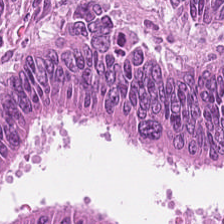The tissue is colorectal adenocarcinoma.
